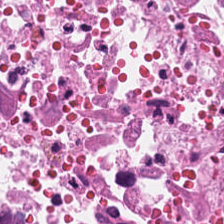H&E-stained section; the field shows cellular debris.
